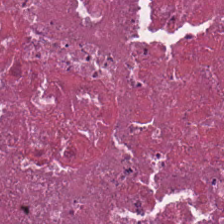H&E stain — Q: What type of tissue is this?
A: It is debris.
